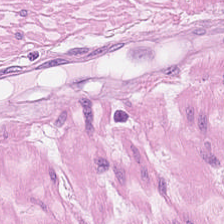20× equivalent magnification · H&E stain.
Q: What tissue type is shown here?
A: This is smooth-muscle tissue.
